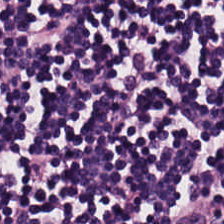H&E-stained tissue section. 224×224 px tile — Tissue — lymphocytic infiltrate.
